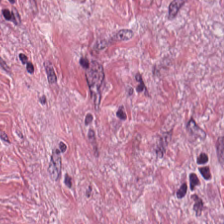Hematoxylin-and-eosin stained section.
Q: What does this patch show?
A: Desmoplastic stroma.
